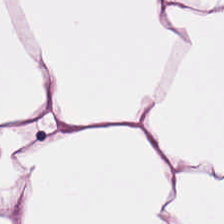Hematoxylin and eosin — Showing adipose.
